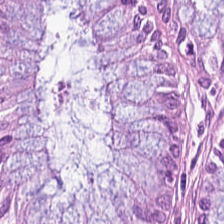Stain: hematoxylin-and-eosin stained section.
Tissue type: benign colonic mucosa.
